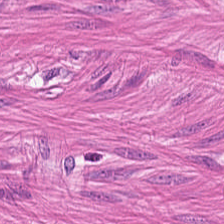Stain: H&E-stained tissue section.
Tissue type: muscularis.
